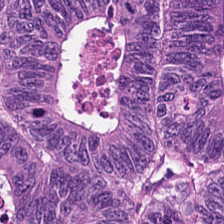H&E. 224×224 px tile. 0.5 microns per pixel — Q: What does this patch show?
A: The field shows adenocarcinoma.
